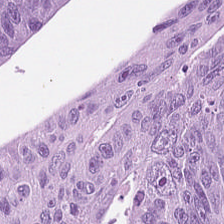The predominant tissue is adenocarcinoma.
